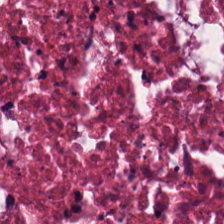Classification — cellular debris.
